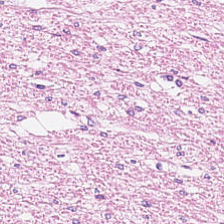Formalin-fixed paraffin-embedded section; hematoxylin-and-eosin stained section; 224×224 pixel tile. The tissue here is smooth muscle.
